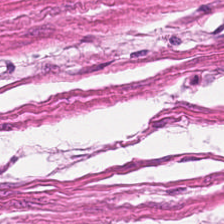Hematoxylin and eosin.
Predominantly muscularis.
